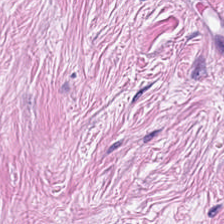Showing cancer-associated stroma.
